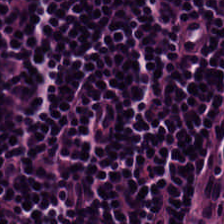This patch shows lymphocytic infiltrate.
